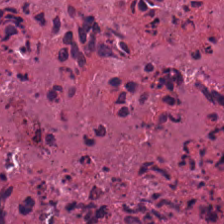H&E. Cellular debris.
